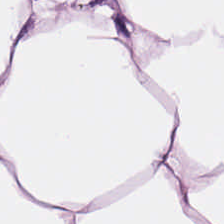H&E. Tissue: adipocytes.
